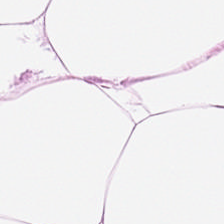H&E stain. Tissue type: adipose tissue.
